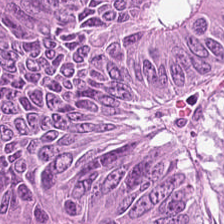H&E-stained tissue section. Q: What is shown in this field?
A: Colorectal adenocarcinoma epithelium.
